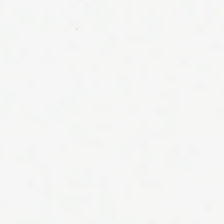Hematoxylin and eosin.
Classification: background (no tissue).
